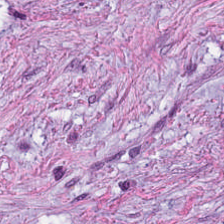Histology — tumor stroma.
